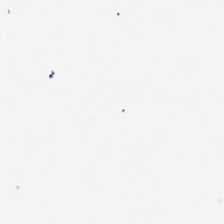Empty field — background (no tissue).
